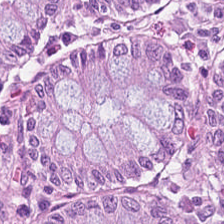Hematoxylin-and-eosin stained section. Tissue class: normal colonic mucosa.
